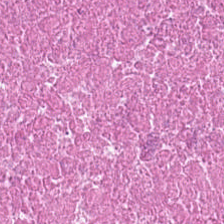Hematoxylin-and-eosin section: necrotic debris.
